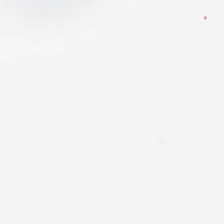H&E-stained tissue section.
Background — no tissue in this field.
